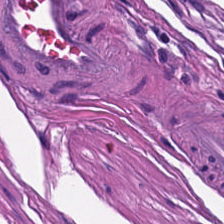Stain: hematoxylin-and-eosin stained section.
Predominant tissue: muscularis.
